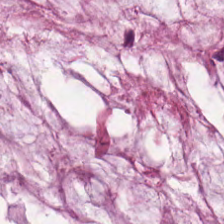0.5 microns per pixel · 224×224 pixel tile · H&E-stained tissue section — Mucus.
